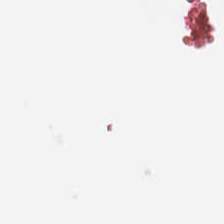Field content: background (no tissue).
